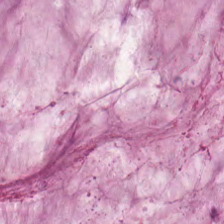Hematoxylin and eosin. Q: What is shown in this field?
A: The field shows mucin.
